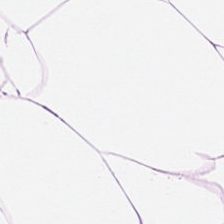H&E.
Showing fat tissue.
